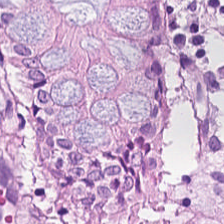H&E-stained tissue section. Impression — non-neoplastic colon mucosa.
